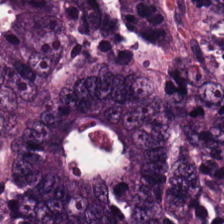0.5 µm/px. Brightfield. H&E-stained tissue section.
Finding — adenocarcinoma.
